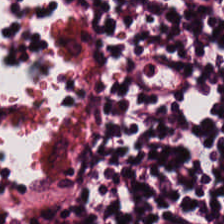Hematoxylin and eosin.
Predominant tissue: lymphocytes.
